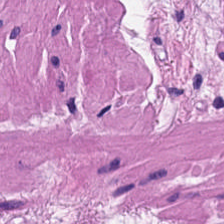Stain: hematoxylin-and-eosin stained section.
Tissue class: muscularis.
